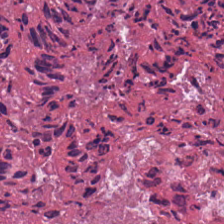0.5 µm/px; H&E. Q: Classify this patch.
A: Cellular debris.
